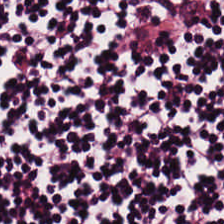Stain: H&E stain.
Acquisition: brightfield microscopy.
Predominant tissue: lymphocytes.
